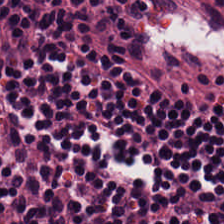Histology → lymphocytes.
